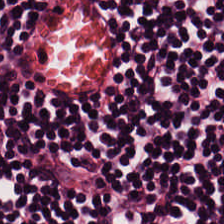Stain: H&E-stained tissue section.
Acquisition: WSI patch.
Classification: lymphocytes.
